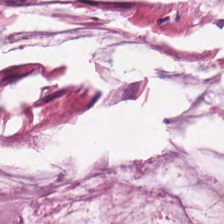Hematoxylin and eosin. WSI patch. Predominant tissue: extracellular mucin.
